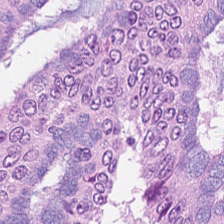0.5 µm per pixel · 224×224 pixel tile · hematoxylin and eosin. The tissue here is malignant epithelium.
